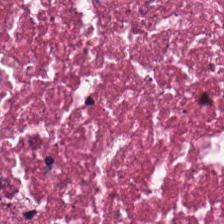0.5 µm per pixel; hematoxylin-and-eosin stained section. The predominant tissue is cellular debris.
